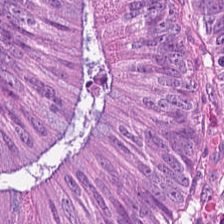Brightfield · H&E-stained tissue section — Predominantly colorectal adenocarcinoma epithelium.
